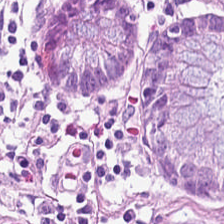Histology → non-neoplastic colon mucosa.
